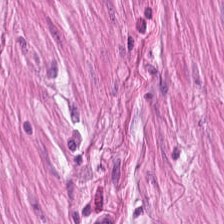Hematoxylin and eosin — The predominant tissue is smooth muscle.
